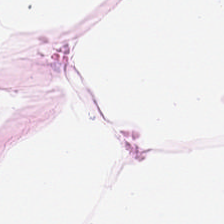Stain: H&E stain.
Tile size: 224×224 pixel tile.
Classification: fat tissue.
